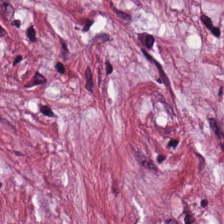0.5 µm per pixel · H&E stain. Tumor stroma.
